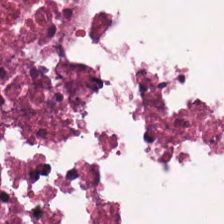Q: What is the predominant tissue type?
A: This is necrotic debris.
